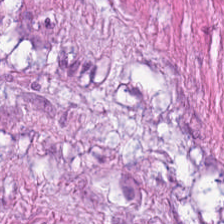H&E-stained tissue section — Q: What is shown here?
A: It is muscularis.
